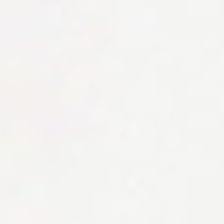Hematoxylin and eosin — This field is background (no tissue).
